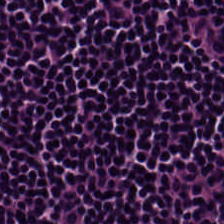Stain: H&E-stained tissue section.
Classification: lymphocytes.
